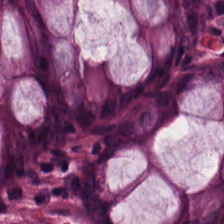H&E — normal colon mucosa.
